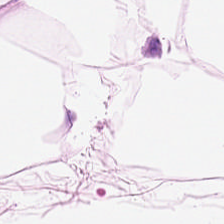Hematoxylin-and-eosin stained section · 224×224 pixel tile. Tissue = adipocytes.
